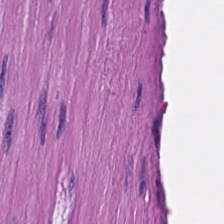H&E. The predominant tissue is muscularis.
